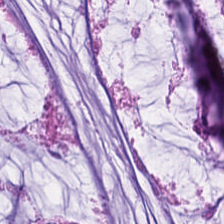Hematoxylin and eosin.
Predominantly extracellular mucin.
